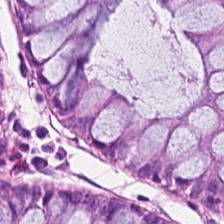H&E.
The tissue class is normal colon mucosa.
